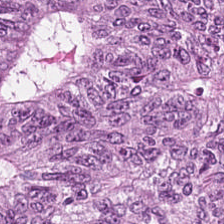Stain: H&E.
Preparation: formalin-fixed paraffin-embedded section.
Tile size: 224×224 pixel tile.
Tissue type: adenocarcinoma.
